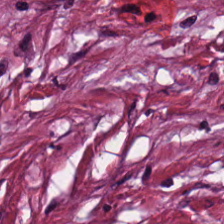H&E-stained tissue section. Q: What is shown here?
A: The field shows tumor-associated stroma.
